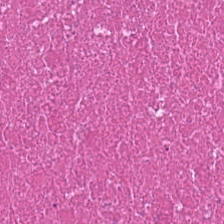Hematoxylin-and-eosin stained section. Predominant tissue: cellular debris.
